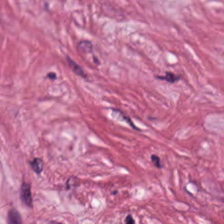H&E; WSI patch; 0.5 microns per pixel.
Q: What is shown here?
A: This is cancer-associated stroma.
